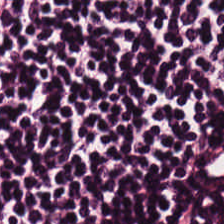H&E stain.
The tissue here is lymphocytes.
